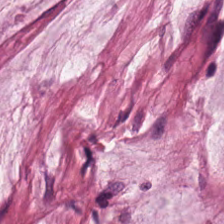H&E-stained tissue section.
This patch shows mucus.
